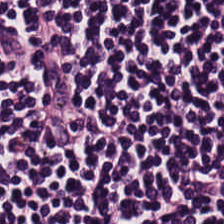Hematoxylin-and-eosin stained section.
Q: What tissue is shown?
A: This is lymphoid infiltrate.
